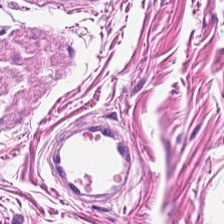Brightfield · H&E stain. Tissue type — smooth-muscle tissue.
